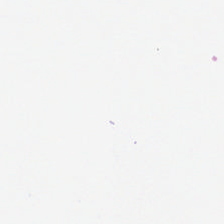Background — no tissue in this field.
